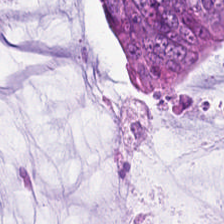Tissue type: tumor epithelium.
